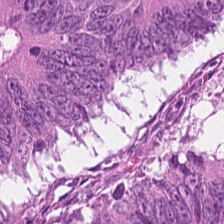H&E · 224×224 pixel tile. Predominant tissue — colorectal adenocarcinoma epithelium.
